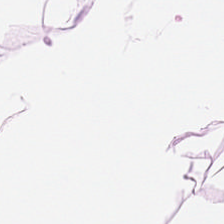20× equivalent magnification · 224×224 px patch · H&E.
Tissue class: adipose.
